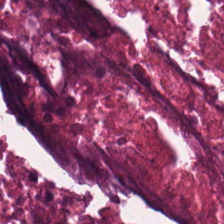{"tissue_type": "necrotic debris"}
